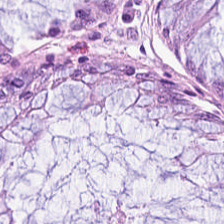224×224 px patch; H&E-stained tissue section; formalin-fixed paraffin-embedded section. Q: What tissue is shown?
A: The field shows normal colon mucosa.
